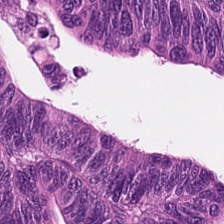Hematoxylin-and-eosin stained section; 224×224 px tile; 20× equivalent magnification. Classification: malignant epithelium.
